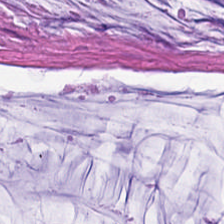20× equivalent magnification. Hematoxylin-and-eosin stained section. Histology — extracellular mucin.
